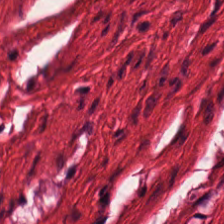Brightfield · H&E-stained tissue section — Muscularis.
